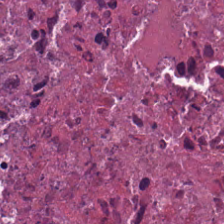224×224 px patch; hematoxylin and eosin — Tissue class: debris.
